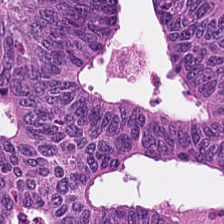Hematoxylin-and-eosin stained section. FFPE — Q: What tissue is shown?
A: This is colorectal adenocarcinoma.
